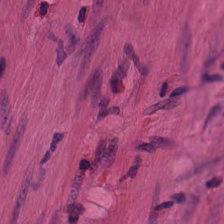WSI patch; hematoxylin-and-eosin stained section — This field is smooth-muscle tissue.
